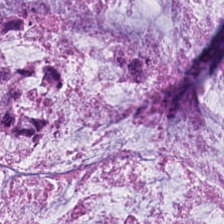This field is extracellular mucin.
